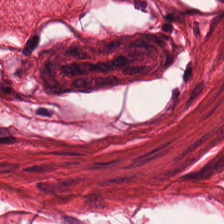Stain: hematoxylin-and-eosin stained section.
Preparation: formalin-fixed paraffin-embedded section.
Tissue type: muscularis.
